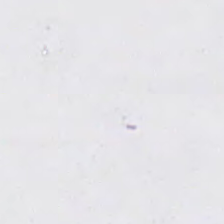H&E stain · FFPE tissue section · 20× equivalent magnification. No tissue present; background only.
